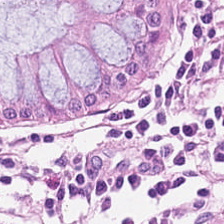Q: Identify the tissue.
A: Non-neoplastic colon mucosa.
